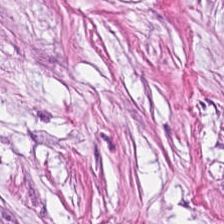Hematoxylin-and-eosin stained section · formalin-fixed paraffin-embedded section · 224×224 px tile. Impression — tumor stroma.
